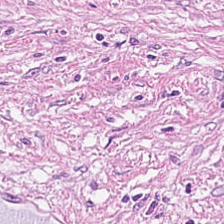Hematoxylin and eosin · FFPE.
Q: What does this patch show?
A: Tumor-associated stroma.
